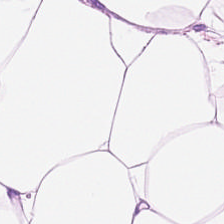Stain: hematoxylin-and-eosin stained section.
Predominant tissue: adipose tissue.
